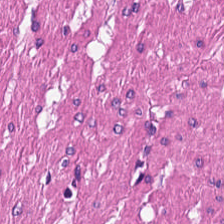Hematoxylin and eosin; brightfield microscopy — Q: What is shown in this field?
A: It is smooth muscle.
